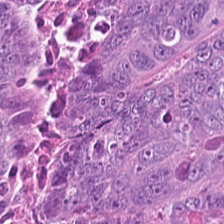H&E-stained tissue section; 224×224 px tile; WSI patch.
This field is colorectal adenocarcinoma.
